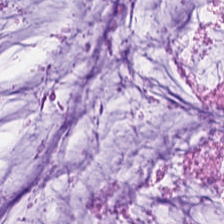H&E stain. The tissue type is mucin.
